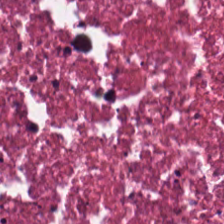H&E stain — Q: What is the predominant tissue type?
A: Cellular debris.
